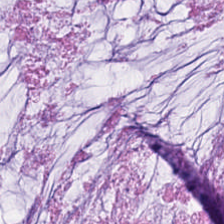The tissue class is mucus.
